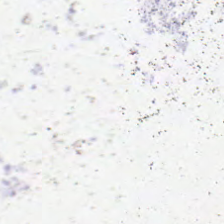H&E; brightfield microscopy; FFPE.
Field content: empty background.
